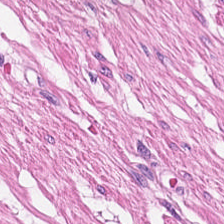FFPE; hematoxylin-and-eosin stained section; 0.5 microns per pixel. The tissue here is smooth muscle.
